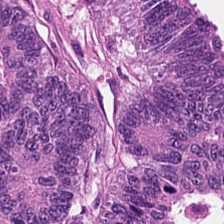Hematoxylin and eosin — Tissue = tumor epithelium.
